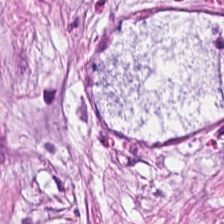224×224 px patch. H&E-stained tissue section.
The predominant tissue is cancer-associated stroma.
